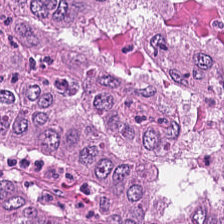Hematoxylin and eosin.
Impression — colorectal adenocarcinoma epithelium.
